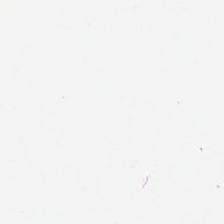Stain: hematoxylin and eosin.
Content: background (no tissue).
